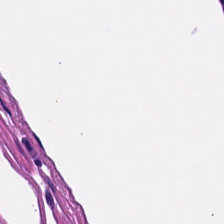Hematoxylin-and-eosin stained section · WSI patch.
Tissue: smooth muscle.
